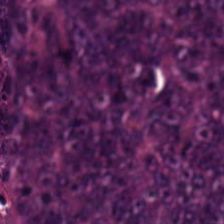H&E-stained tissue section; FFPE. Q: What tissue is shown?
A: Adenocarcinoma.
